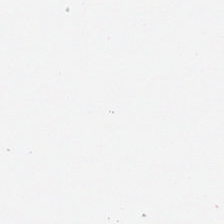Hematoxylin and eosin — Field content — no tissue.
